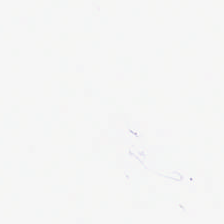H&E stain. 0.5 µm per pixel.
This patch shows background.
